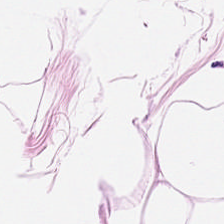H&E stain.
Histology → adipocytes.
